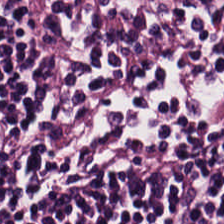Hematoxylin-and-eosin stained section — Showing lymphocytic infiltrate.
